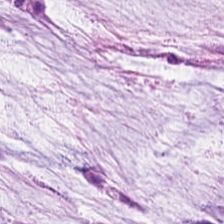H&E-stained tissue section; FFPE tissue section. Classification = extracellular mucin.
